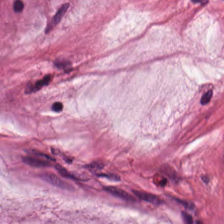H&E. FFPE. Q: Identify the tissue.
A: Extracellular mucin.
